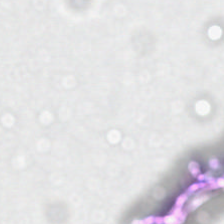Whole-slide-image patch; hematoxylin-and-eosin stained section; 224×224 px tile.
Content = background.
